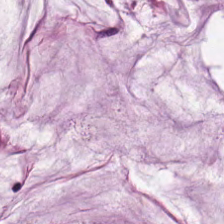Stain: H&E stain.
Acquisition: whole-slide-image patch.
Tissue class: mucin.
